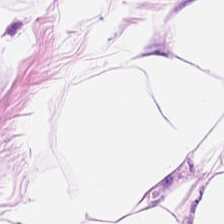0.5 µm per pixel. Whole-slide-image patch. Hematoxylin and eosin. Finding — adipocytes.
